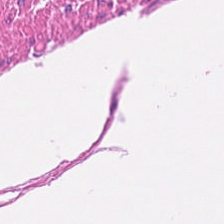Hematoxylin-and-eosin stained section · 0.5 µm per pixel · FFPE — Q: What is shown in this field?
A: Smooth-muscle tissue.
